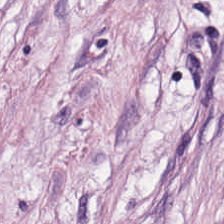20× equivalent magnification; 224×224 px tile; hematoxylin and eosin.
The tissue class is tumor stroma.
